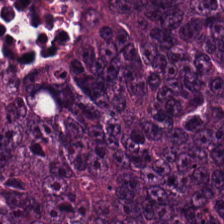Formalin-fixed paraffin-embedded section. H&E.
The tissue type is colorectal adenocarcinoma.
